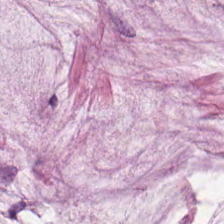Q: What type of tissue is this?
A: This is mucus.
